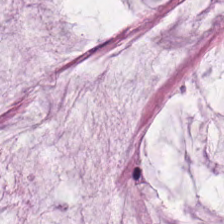0.5 microns per pixel; H&E; whole-slide-image patch. Tissue — mucus.
